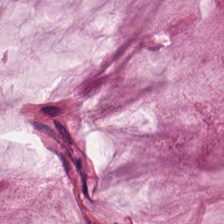H&E-stained tissue section — Predominant tissue: mucus.
